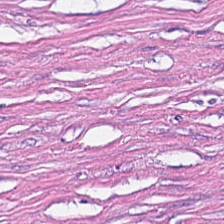H&E. The classification is cancer-associated stroma.
